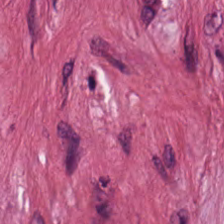H&E stain. Brightfield microscopy.
Q: What tissue type is shown here?
A: It is tumor stroma.
